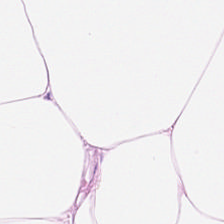H&E-stained tissue section. This field is fat tissue.
